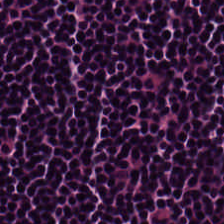224×224 px tile · H&E — This field is lymphocytic infiltrate.
